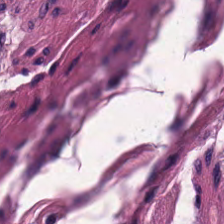Predominantly smooth muscle.
